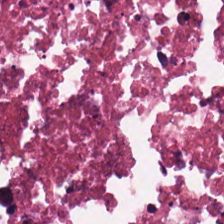FFPE tissue section; H&E; 0.5 µm per pixel — Finding — necrotic debris.
